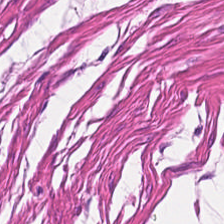H&E stain. Tissue = smooth muscle.
